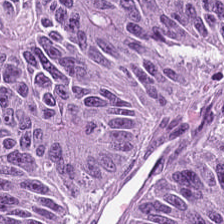Hematoxylin and eosin — The tissue here is adenocarcinoma.
